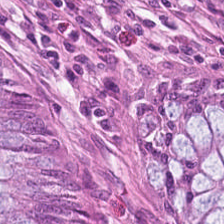Hematoxylin and eosin; 0.5 µm/px; FFPE tissue section — Classification = benign colonic mucosa.
